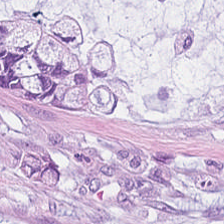Hematoxylin-and-eosin stained section. Brightfield. 224×224 px patch. Classification: mucin.
